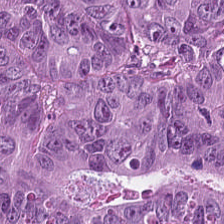Stain: H&E.
Tissue: colorectal adenocarcinoma.
